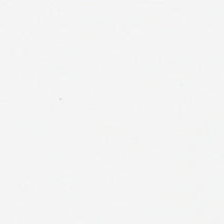Hematoxylin and eosin. Q: What does this patch show?
A: It is empty background.
